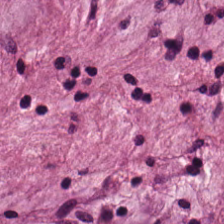Hematoxylin and eosin.
This patch shows extracellular mucin.
